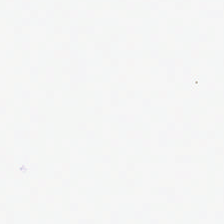H&E. {"content": "empty background"}
